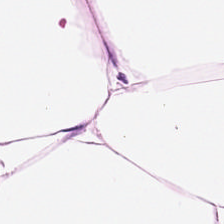Hematoxylin and eosin. Adipocytes.
